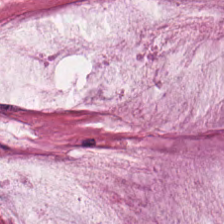H&E patch showing mucin.
